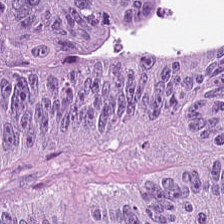Stain: hematoxylin and eosin.
Tissue type: colorectal adenocarcinoma.
